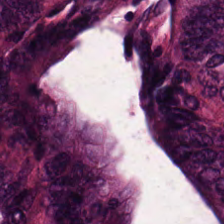20× equivalent magnification; hematoxylin-and-eosin stained section — The classification is colorectal adenocarcinoma epithelium.
